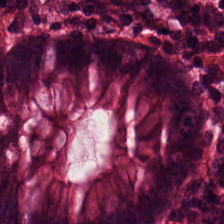H&E — Q: What is shown here?
A: It is normal colonic mucosa.
